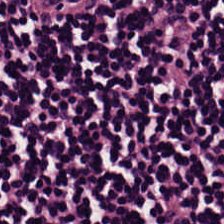Stain: hematoxylin and eosin.
Preparation: formalin-fixed paraffin-embedded section.
Classification: lymphocyte aggregate.
